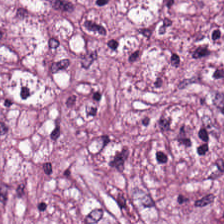Brightfield microscopy. Hematoxylin-and-eosin stained section. Formalin-fixed paraffin-embedded section. Classification: tumor stroma.
